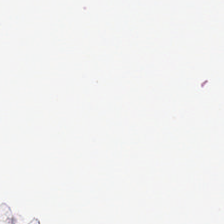Hematoxylin and eosin; formalin-fixed paraffin-embedded section.
Classification — no tissue.
